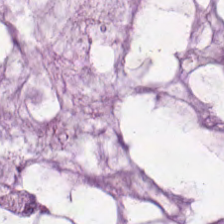Hematoxylin-and-eosin stained section. FFPE. 224×224 pixel tile.
Q: What is shown in this field?
A: This is mucus.
